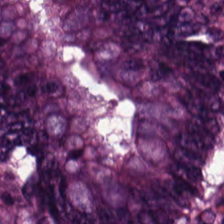H&E.
The predominant tissue is tumor epithelium.
